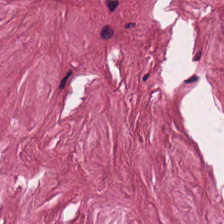FFPE tissue section. H&E stain. Tumor stroma.
